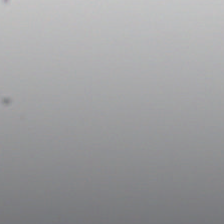H&E.
Q: What is shown here?
A: Empty background.
